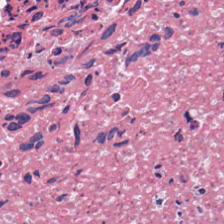Predominantly debris.
